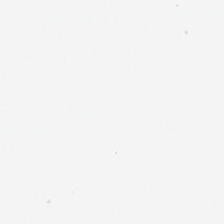Stain: H&E-stained tissue section.
Resolution: 0.5 microns per pixel.
Classification: empty background.
